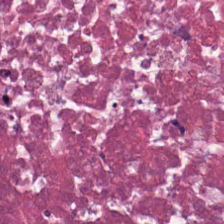Hematoxylin and eosin. Q: What tissue is shown?
A: The field shows necrotic debris.
